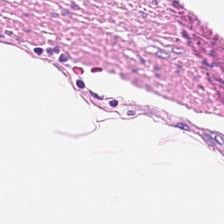Finding → smooth-muscle tissue.
